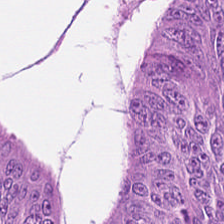H&E.
Tissue class: colorectal adenocarcinoma.
